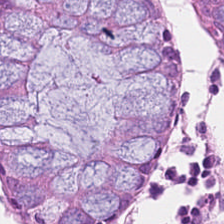H&E stain. 224×224 px tile. Tissue class — non-neoplastic colon mucosa.
